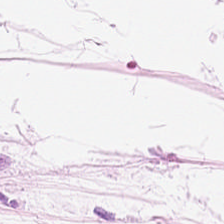H&E-stained tissue section.
Showing fat tissue.
